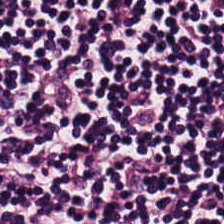Hematoxylin and eosin; formalin-fixed paraffin-embedded section — Q: Identify the tissue.
A: Lymphocytic infiltrate.
